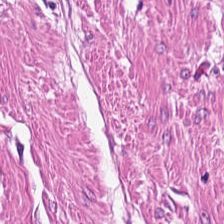224×224 px tile; FFPE; hematoxylin-and-eosin stained section. The tissue here is smooth muscle.
